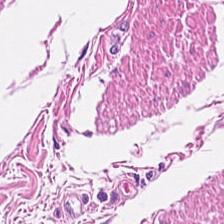H&E.
The tissue here is smooth muscle.
